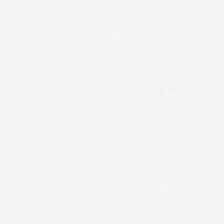0.5 µm/px; 224×224 pixel tile; H&E-stained tissue section — Q: What is shown in this field?
A: It is background.
